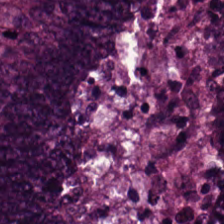H&E · whole-slide-image patch — Impression → colorectal adenocarcinoma.
